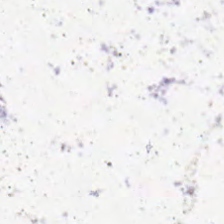Empty field — empty background.
